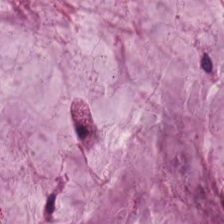Stain: H&E stain.
Tissue type: mucus.
